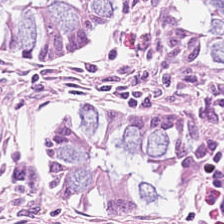H&E stain. Classification — normal colon mucosa.
